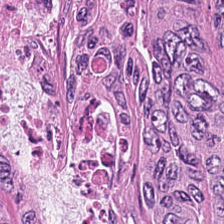Hematoxylin and eosin; 224×224 pixel tile.
Predominantly colorectal adenocarcinoma epithelium.
